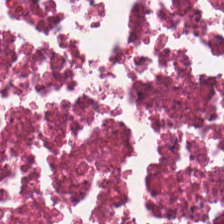0.5 µm/px; brightfield; hematoxylin and eosin.
Cellular debris.
